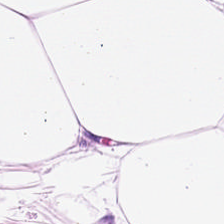H&E-stained tissue section — This field is adipose.
